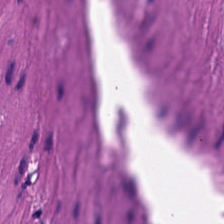The tissue type is muscularis.
